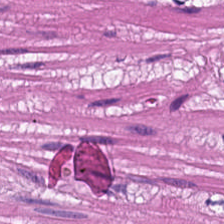0.5 µm/px. Hematoxylin-and-eosin stained section.
This patch shows smooth-muscle tissue.
